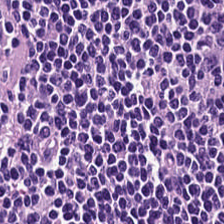H&E stain — Histology → lymphocytes.
